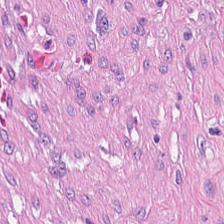Hematoxylin-and-eosin stained section — Q: What does this patch show?
A: This is tumor-associated stroma.
